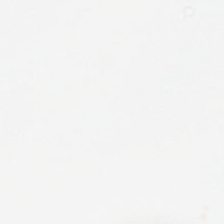224×224 pixel tile. H&E-stained tissue section. WSI patch.
This patch shows empty background.
